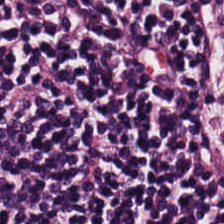H&E stain.
This field is lymphocyte aggregate.
